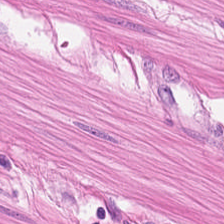Whole-slide-image patch · hematoxylin-and-eosin stained section. Classification: muscularis.
